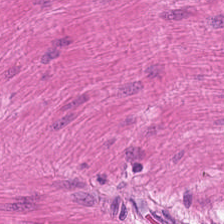H&E stain — Predominantly smooth-muscle tissue.
